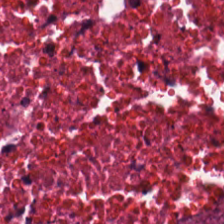The tissue here is debris.
